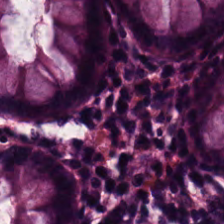224×224 px tile; hematoxylin-and-eosin stained section — Predominantly normal colonic mucosa.
